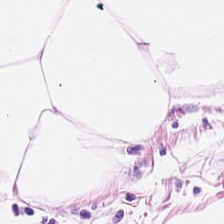H&E-stained tissue section showing adipocytes.
